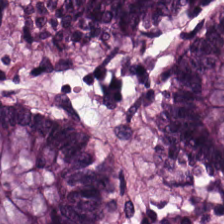H&E — This field is benign colonic mucosa.
